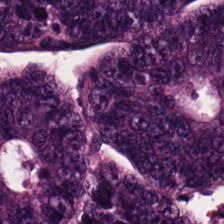H&E-stained tissue section — Q: What tissue is shown?
A: Colorectal adenocarcinoma.
